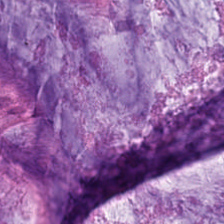224×224 px patch · H&E-stained tissue section.
Histology — mucus.
